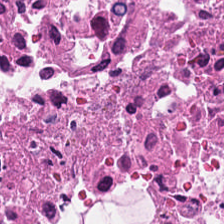Hematoxylin-and-eosin stained section. {"tissue_type": "debris"}
